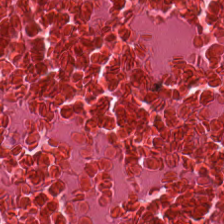H&E. The classification is necrotic debris.
